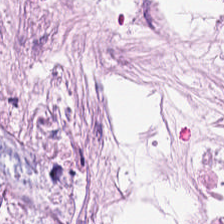Predominant tissue — tumor stroma.
